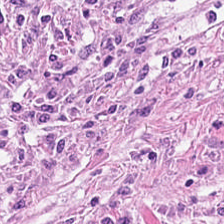Brightfield. Hematoxylin-and-eosin stained section. Predominant tissue — tumor-associated stroma.
